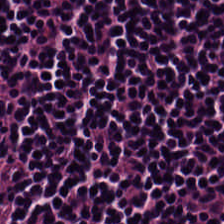This field is lymphocyte aggregate.
